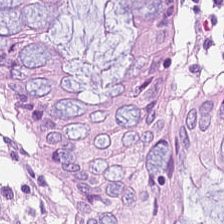Hematoxylin and eosin.
Histology — normal colon mucosa.
